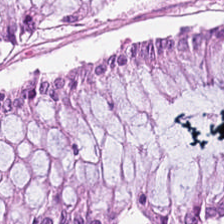H&E.
Predominantly normal colon mucosa.
